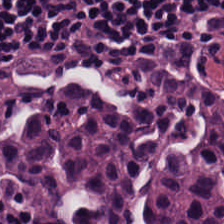0.5 microns per pixel · hematoxylin and eosin.
Classification — lymphocyte aggregate.
